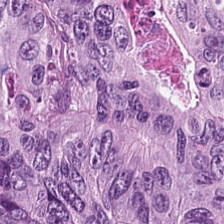Stain: hematoxylin-and-eosin stained section.
Tissue type: colorectal adenocarcinoma epithelium.
